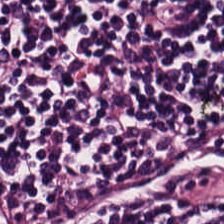H&E. Finding → lymphocyte aggregate.
